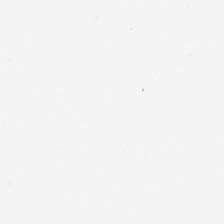Hematoxylin and eosin — {"content": "background"}
